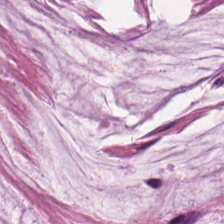H&E-stained tissue section — This patch shows extracellular mucin.
